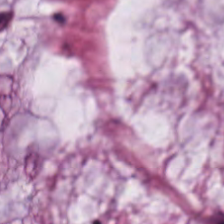Histology — extracellular mucin.
